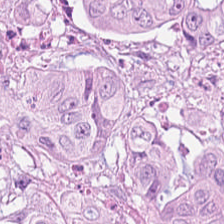Q: Identify the tissue.
A: It is colorectal adenocarcinoma epithelium.
